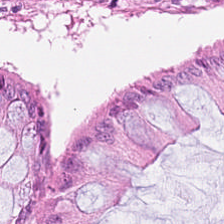Hematoxylin and eosin.
Q: What is the predominant tissue type?
A: This is non-neoplastic colon mucosa.
